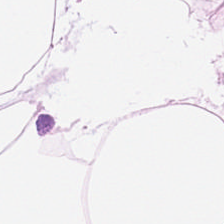FFPE · H&E-stained tissue section.
The predominant tissue is adipose.
